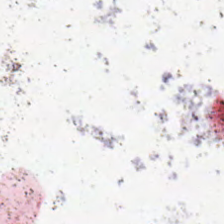Q: Classify this patch.
A: It is no tissue.
